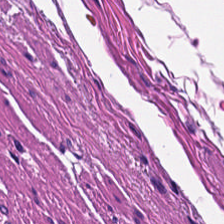H&E. Whole-slide-image patch. 224×224 px patch. Smooth-muscle tissue.
